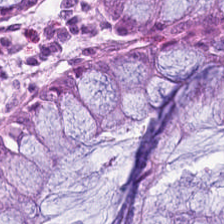Stain: H&E.
Preparation: formalin-fixed paraffin-embedded section.
Predominant tissue: normal colonic mucosa.
